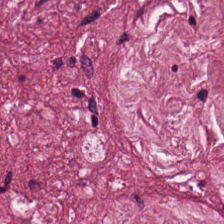Hematoxylin and eosin. Tissue = desmoplastic stroma.
